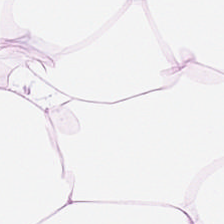Finding — adipose.
